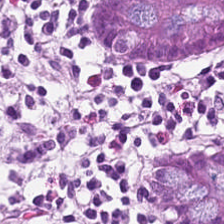Hematoxylin-and-eosin stained section; WSI patch; 224×224 px patch — Q: What type of tissue is this?
A: The field shows normal colon mucosa.
